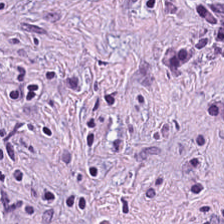This patch shows tumor stroma.
